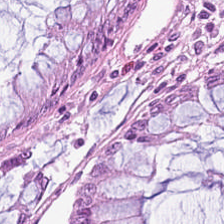{"tissue_type": "normal colon mucosa"}
